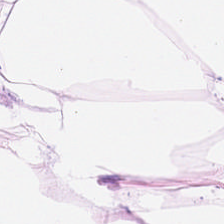Q: Classify this patch.
A: The field shows adipocytes.
